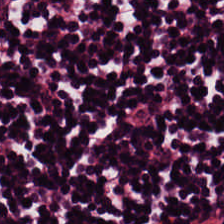Stain: hematoxylin and eosin.
Acquisition: brightfield microscopy.
Tissue type: lymphocyte aggregate.
